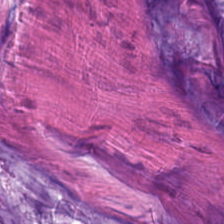H&E. The predominant tissue is extracellular mucin.
